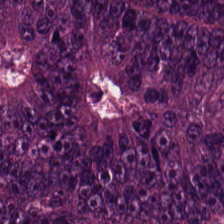H&E-stained tissue section showing tumor epithelium.
